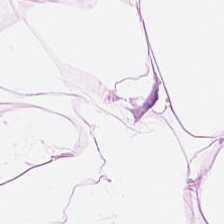{"tissue_type": "adipose tissue"}
